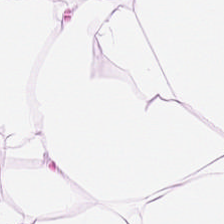Q: What is the predominant tissue type?
A: Adipose.
